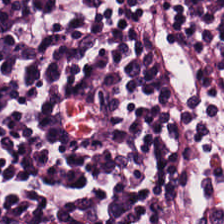Tissue — lymphocytic infiltrate.
